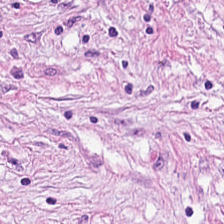Finding — tumor stroma.
